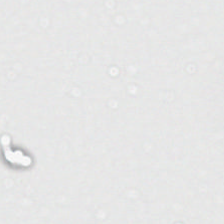0.5 µm/px. H&E stain.
Classification = empty background.
